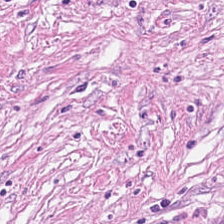Hematoxylin and eosin. WSI patch.
This field is tumor-associated stroma.
